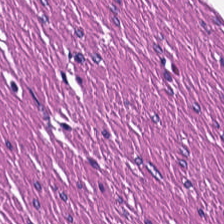FFPE · hematoxylin-and-eosin stained section · brightfield.
Tissue — smooth-muscle tissue.
